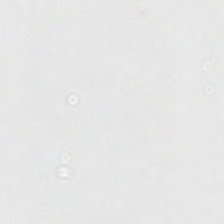WSI patch · hematoxylin and eosin · FFPE tissue section.
Q: What is shown here?
A: The field shows background.
